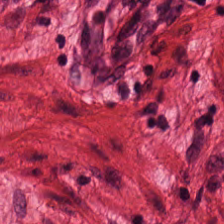Hematoxylin and eosin · 0.5 microns per pixel. Finding — smooth muscle.
